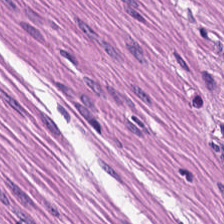H&E stain. Histology — smooth muscle.
